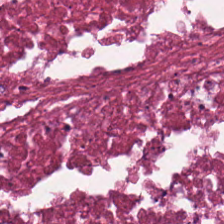Stain: hematoxylin-and-eosin stained section.
Tile size: 224×224 px patch.
Tissue class: necrotic debris.
